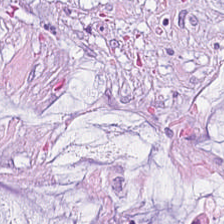Finding → extracellular mucin.
